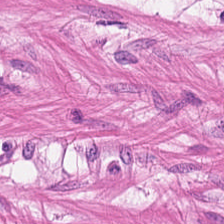Hematoxylin-and-eosin stained section · whole-slide-image patch — Predominantly muscularis.
